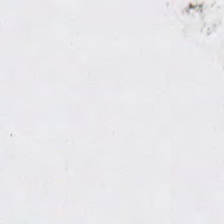Hematoxylin and eosin — {"content": "empty background"}
